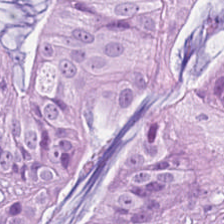Stain: hematoxylin-and-eosin stained section.
Predominant tissue: adenocarcinoma.
